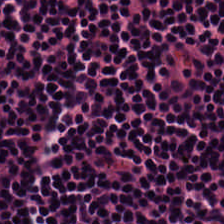H&E-stained tissue section.
Lymphocyte aggregate.
